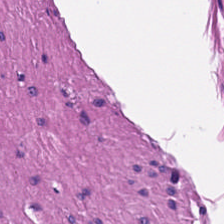Formalin-fixed paraffin-embedded section; hematoxylin-and-eosin stained section.
Tissue = muscularis.
